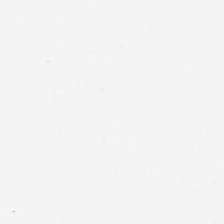0.5 µm/px · hematoxylin-and-eosin stained section — No tissue present; background only.
